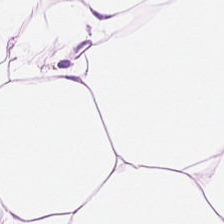H&E · FFPE · 0.5 µm/px — Q: What is the predominant tissue type?
A: The field shows adipose.
